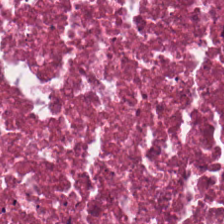H&E-stained tissue section.
Histology → debris.
